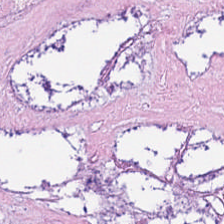Hematoxylin-and-eosin stained section; 0.5 µm per pixel — The predominant tissue is debris.
